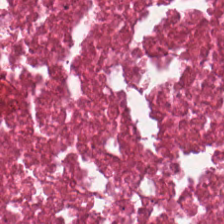{"tissue_type": "necrotic debris"}
